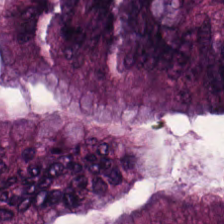224×224 px tile · hematoxylin-and-eosin stained section · formalin-fixed paraffin-embedded section. Q: Identify the tissue.
A: This is colorectal adenocarcinoma.
